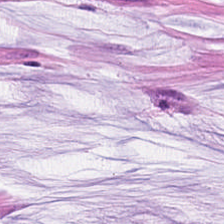Stain: H&E.
Tissue: extracellular mucin.
